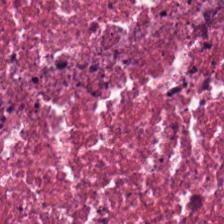0.5 microns per pixel; H&E. Predominant tissue: debris.
